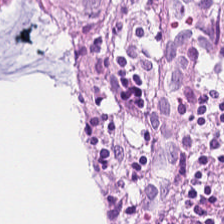Brightfield microscopy · H&E-stained tissue section — Non-neoplastic colon mucosa.
